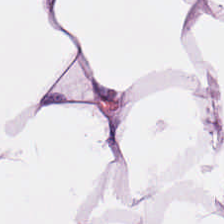Hematoxylin-and-eosin stained section — Q: Identify the tissue.
A: This is adipose tissue.
